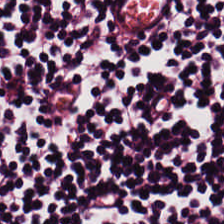H&E stain — Predominantly lymphocytic infiltrate.
